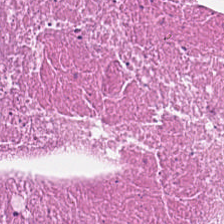Stain: hematoxylin-and-eosin stained section.
Tissue type: necrotic debris.
